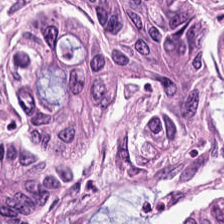The predominant tissue is adenocarcinoma.
